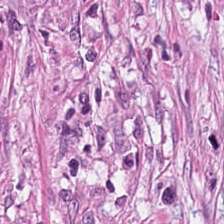Hematoxylin-and-eosin stained section.
Q: What tissue is shown?
A: This is desmoplastic stroma.
